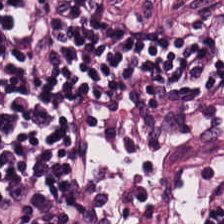This field is lymphocyte aggregate.
